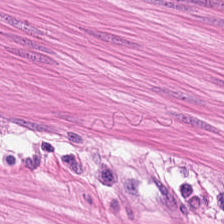H&E stain · whole-slide-image patch — The tissue type is muscularis.
